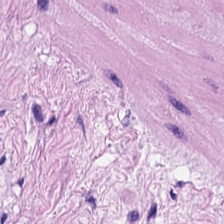224×224 px patch · H&E stain · FFPE tissue section. This patch shows muscularis.
